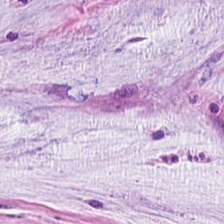Hematoxylin and eosin — Predominant tissue — mucin.
